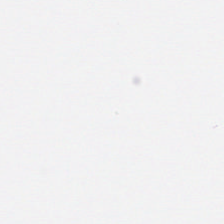FFPE tissue section · hematoxylin and eosin. Q: What does this patch show?
A: Background (no tissue).
